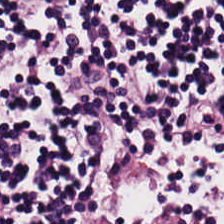H&E.
Tissue class: lymphocytic infiltrate.
